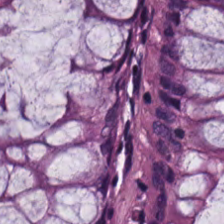Hematoxylin and eosin — Tissue class: benign colonic mucosa.
